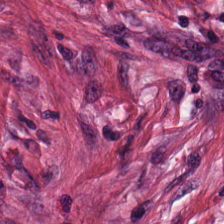Hematoxylin and eosin — This field is desmoplastic stroma.
